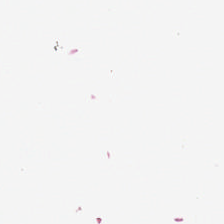Hematoxylin and eosin.
The classification is empty background.
